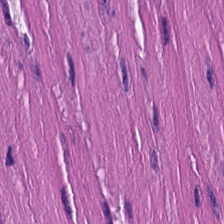20× equivalent magnification · 224×224 pixel tile · H&E stain. This field is smooth-muscle tissue.
